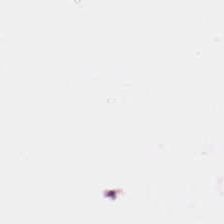Empty background.
